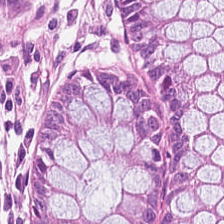Q: Identify the tissue.
A: This is non-neoplastic colon mucosa.
